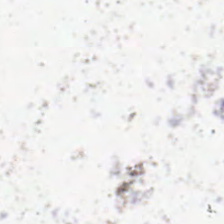Hematoxylin-and-eosin stained section — Q: What is shown in this field?
A: Empty background.
